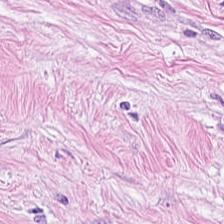0.5 microns per pixel. 224×224 px patch. H&E stain — Tissue = tumor stroma.
